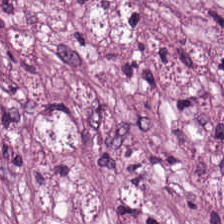Stain: hematoxylin and eosin.
Classification: desmoplastic stroma.
